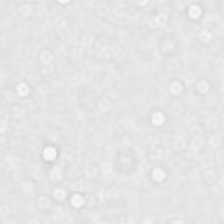Stain: hematoxylin and eosin.
Tile size: 224×224 pixel tile.
Classification: empty background.
